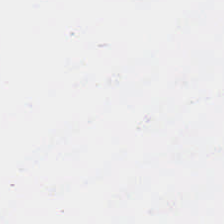Hematoxylin-and-eosin stained section. Formalin-fixed paraffin-embedded section.
Empty field — background (no tissue).
